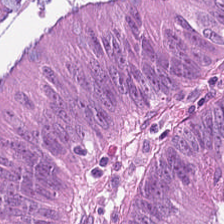Predominant tissue — colorectal adenocarcinoma epithelium.
